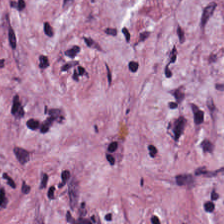Brightfield microscopy · 224×224 px tile · hematoxylin-and-eosin stained section — This field is tumor stroma.
